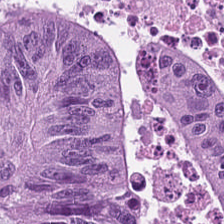Stain: hematoxylin-and-eosin stained section.
Preparation: FFPE tissue section.
Acquisition: whole-slide-image patch.
Tissue: adenocarcinoma.
